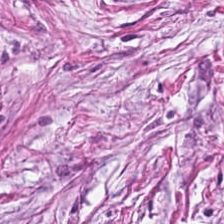H&E — Q: What is shown here?
A: The field shows cancer-associated stroma.
